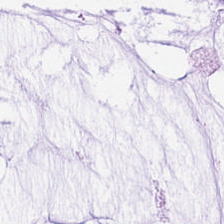Hematoxylin and eosin — The tissue type is mucus.
